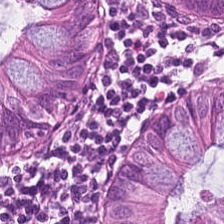H&E-stained tissue section; 224×224 px patch — The classification is normal colon mucosa.
